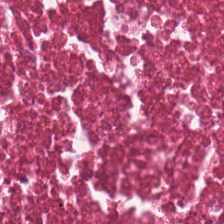224×224 pixel tile · hematoxylin-and-eosin stained section · WSI patch. This patch shows cellular debris.
